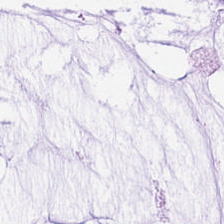H&E-stained tissue section — Finding — mucin.
